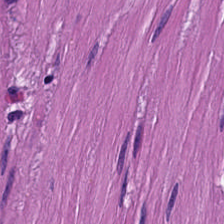H&E — Q: What tissue type is shown here?
A: The field shows smooth muscle.
